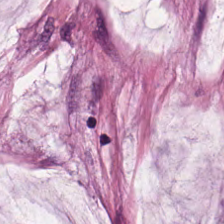Hematoxylin-and-eosin stained section — Tissue type: extracellular mucin.
